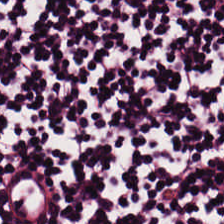H&E — Tissue type — lymphocytes.
